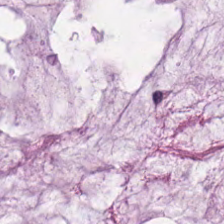H&E. Q: What is the predominant tissue type?
A: The field shows mucus.
